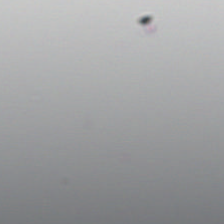Q: What is shown here?
A: Empty background.
